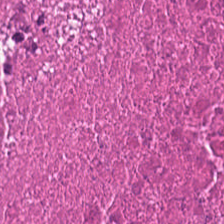H&E-stained tissue section. FFPE.
Tissue class = cellular debris.
